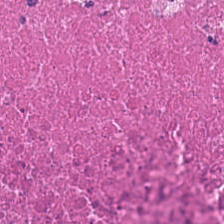H&E · 0.5 µm per pixel — Impression → cellular debris.
